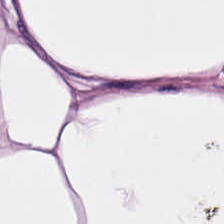Hematoxylin-and-eosin stained section — Finding — adipocytes.
